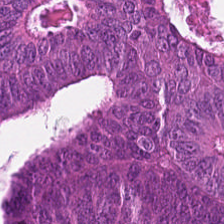Hematoxylin and eosin.
Tissue class: colorectal adenocarcinoma.
